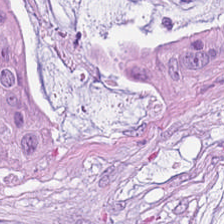Stain: H&E stain.
Tile size: 224×224 px tile.
Tissue: mucin.
